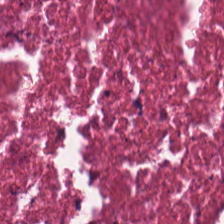H&E-stained tissue section. This patch shows debris.
